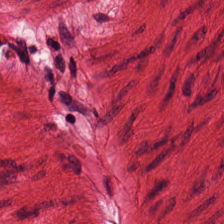H&E-stained tissue section.
{"tissue_type": "smooth-muscle tissue"}
